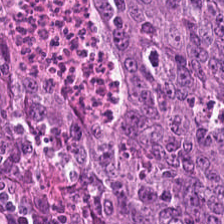H&E stain.
Classification: tumor epithelium.
